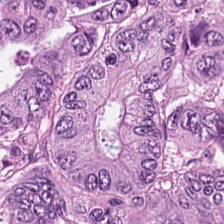H&E.
Classification — tumor epithelium.
